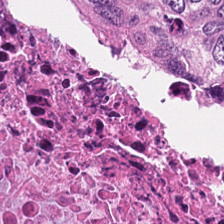H&E-stained tissue section. Impression → necrotic debris.
